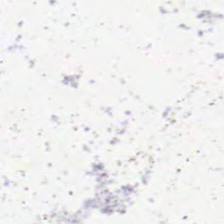H&E — Field content — empty background.
